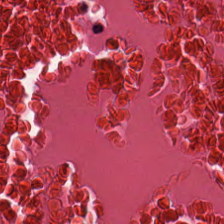H&E-stained tissue section.
{"tissue_type": "debris"}
